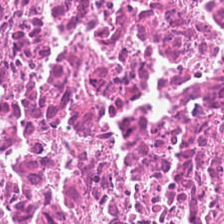H&E.
This patch shows necrotic debris.
